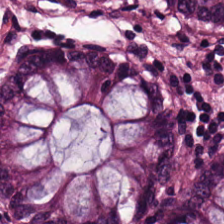H&E stain. FFPE. Whole-slide-image patch.
Tissue class — non-neoplastic colon mucosa.
